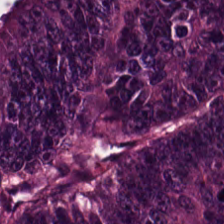H&E-stained tissue section — Q: What type of tissue is this?
A: This is malignant epithelium.
